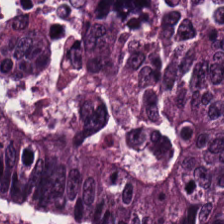Predominantly tumor epithelium.
